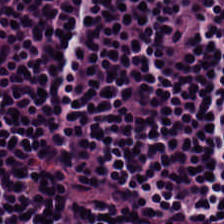224×224 px patch · H&E stain — This patch shows lymphocytic infiltrate.
